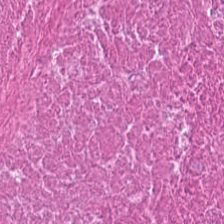Stain: H&E-stained tissue section.
Tissue type: debris.
